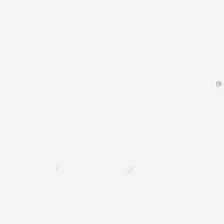Hematoxylin-and-eosin stained section.
Empty background.
